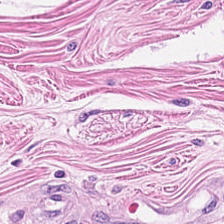H&E stain — Predominant tissue = smooth-muscle tissue.
